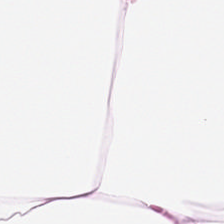Hematoxylin and eosin — Adipose.
